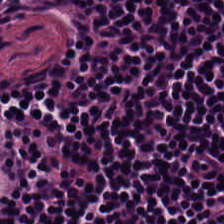Hematoxylin and eosin · brightfield.
Impression → lymphoid infiltrate.
